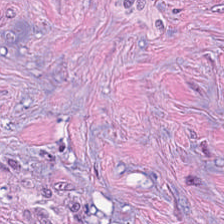H&E stain; brightfield microscopy.
Showing desmoplastic stroma.
